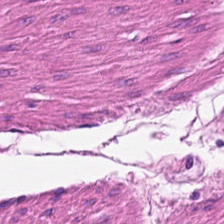H&E stain.
Predominant tissue = muscularis.
